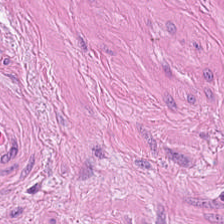224×224 px tile · hematoxylin-and-eosin stained section — This field is muscularis.
